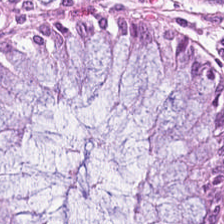Brightfield; H&E-stained tissue section; 224×224 px tile.
Predominantly benign colonic mucosa.
